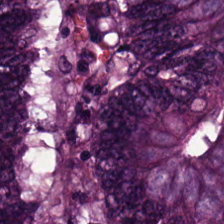H&E stain. Showing colorectal adenocarcinoma epithelium.
